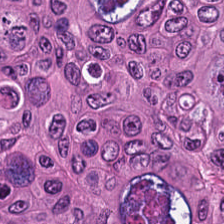H&E — adenocarcinoma.
